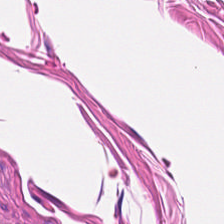Tissue type — muscularis.
